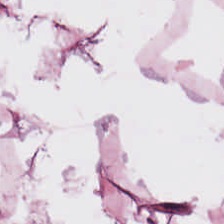H&E-stained tissue section.
Tissue — fat tissue.
